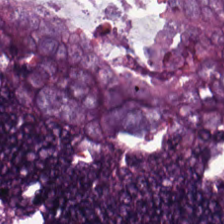Hematoxylin and eosin.
The tissue here is colorectal adenocarcinoma epithelium.
